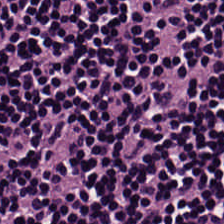FFPE · 20× equivalent magnification · hematoxylin and eosin. {"tissue_type": "lymphocytic infiltrate"}
